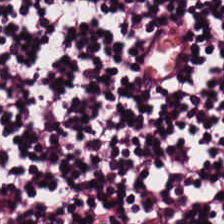Stain: hematoxylin-and-eosin stained section.
Tissue: lymphocytic infiltrate.
